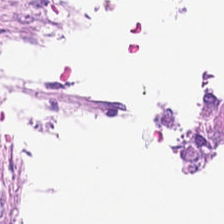224×224 pixel tile. Formalin-fixed paraffin-embedded section. H&E-stained tissue section. Content = background.
